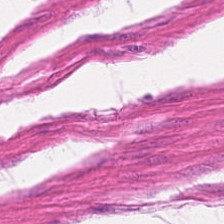H&E stain.
The tissue is muscularis.
